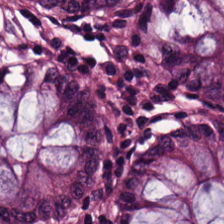Stain: hematoxylin and eosin.
Tissue class: normal colon mucosa.
